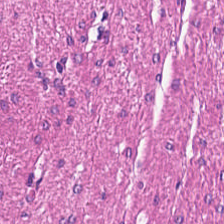H&E stain — Tissue — smooth muscle.
